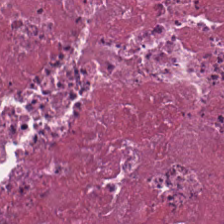This patch shows necrotic debris.
